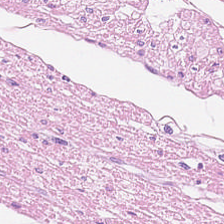Hematoxylin-and-eosin stained section.
Showing smooth-muscle tissue.
